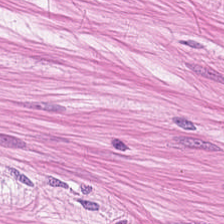0.5 microns per pixel. H&E stain. WSI patch.
Showing smooth-muscle tissue.
